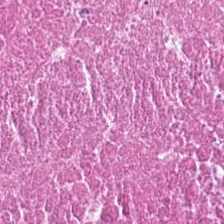224×224 px tile · hematoxylin-and-eosin stained section.
Showing cellular debris.
